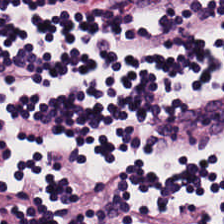H&E-stained tissue section.
The tissue class is lymphocyte aggregate.
